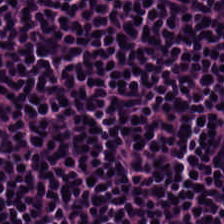Hematoxylin-and-eosin stained section — Q: What is the predominant tissue type?
A: It is lymphocytic infiltrate.
